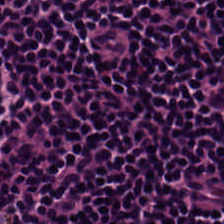Impression — lymphocytic infiltrate.
